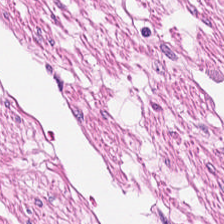Stain: hematoxylin-and-eosin stained section.
Tissue type: smooth-muscle tissue.
